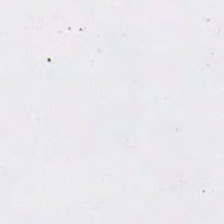H&E · 0.5 microns per pixel — {"content": "background (no tissue)"}
